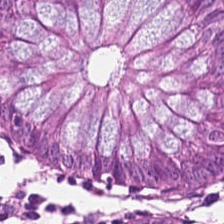H&E-stained tissue section.
Predominant tissue = normal colonic mucosa.
